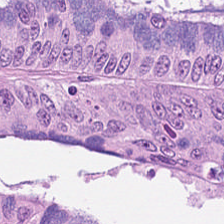H&E-stained tissue section. Q: What does this patch show?
A: It is colorectal adenocarcinoma.
